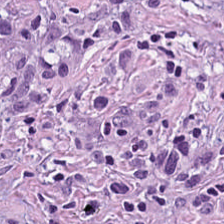The tissue class is desmoplastic stroma.
